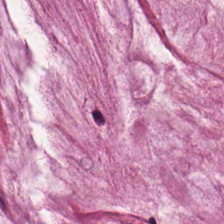H&E — mucus.
